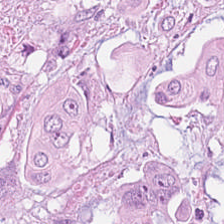Hematoxylin and eosin · 224×224 pixel tile — The tissue here is colorectal adenocarcinoma epithelium.
